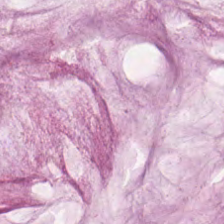H&E. Tissue class: extracellular mucin.
